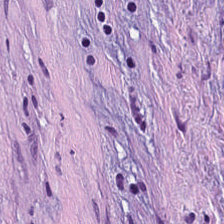H&E stain; WSI patch. This field is tumor stroma.
